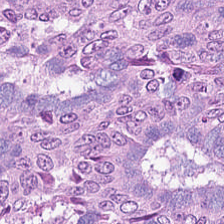H&E.
The tissue type is colorectal adenocarcinoma epithelium.
